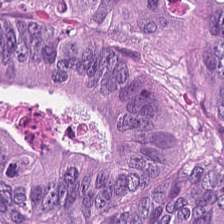224×224 pixel tile; H&E; FFPE. The predominant tissue is colorectal adenocarcinoma.
